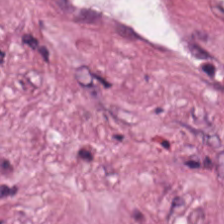224×224 pixel tile; H&E stain.
Cancer-associated stroma.
